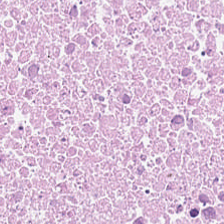FFPE tissue section. Hematoxylin and eosin. 224×224 px patch. Tissue class: necrotic debris.
